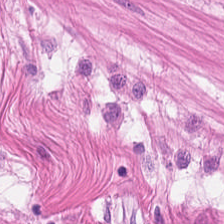Hematoxylin and eosin.
Q: What type of tissue is this?
A: This is smooth-muscle tissue.
